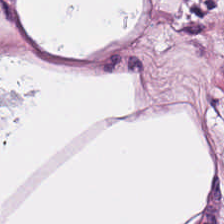The predominant tissue is adipose.
